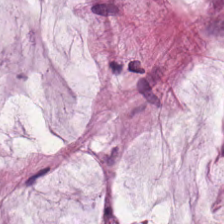Formalin-fixed paraffin-embedded section. H&E-stained tissue section. 224×224 px tile. Q: What type of tissue is this?
A: This is mucin.
